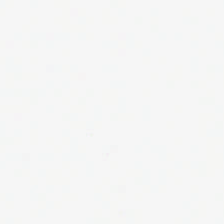Impression → background.
